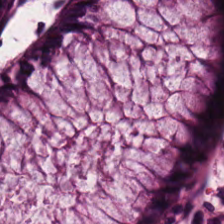Stain: hematoxylin and eosin.
Resolution: 20× equivalent magnification.
Tissue class: benign colonic mucosa.
